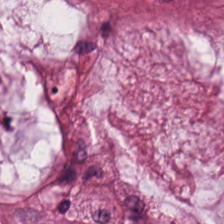WSI patch. H&E stain. 224×224 px patch. {"tissue_type": "mucus"}
